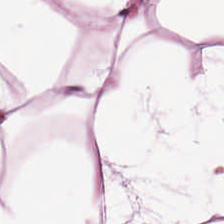H&E — Showing fat tissue.
